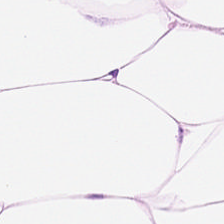H&E stain. 224×224 px patch — This patch shows adipose tissue.
